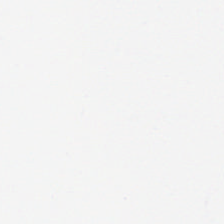Stain: hematoxylin-and-eosin stained section.
Classification: no tissue.
